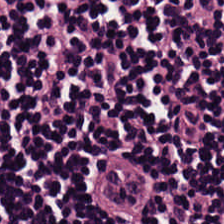The tissue class is lymphocyte aggregate.
